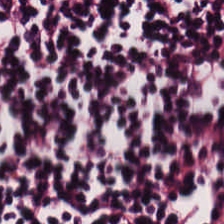H&E — This patch shows lymphocyte aggregate.
